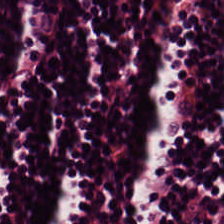FFPE tissue section; hematoxylin and eosin; brightfield microscopy.
The tissue type is lymphocytes.
